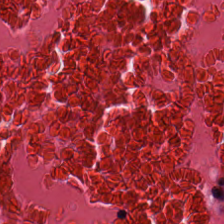Hematoxylin-and-eosin stained section.
The predominant tissue is cellular debris.
